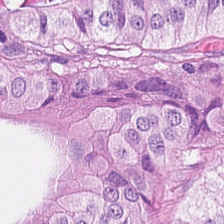The tissue is tumor epithelium.
